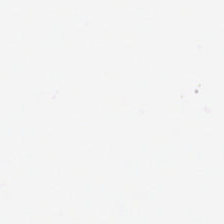H&E stain.
Empty field — no tissue.
